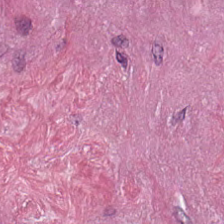H&E stain. Q: What tissue type is shown here?
A: The field shows tumor-associated stroma.
